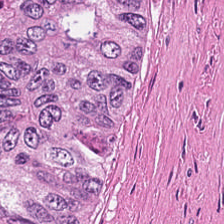H&E-stained section; the field shows debris.
